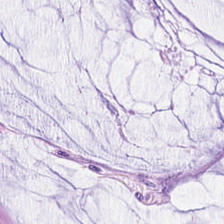H&E.
Mucin.
